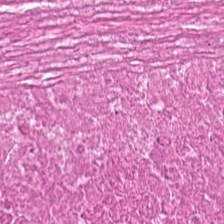Tissue class: debris.
